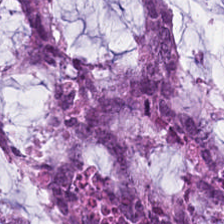This patch shows extracellular mucin.
